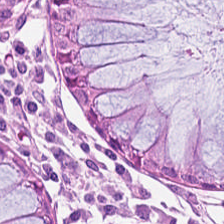Hematoxylin and eosin.
Finding → normal colon mucosa.
